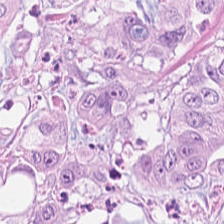Stain: H&E-stained tissue section.
Tissue: tumor epithelium.
